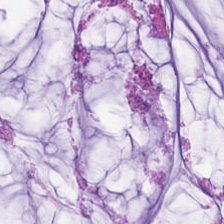H&E stain.
This field is mucin.
